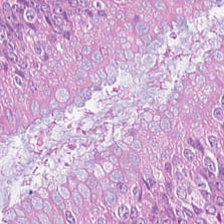224×224 pixel tile; H&E stain; FFPE — Predominantly colorectal adenocarcinoma epithelium.
